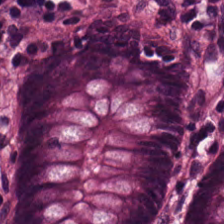H&E stain. Tissue type — benign colonic mucosa.
